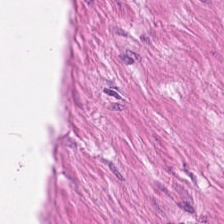224×224 pixel tile; H&E stain.
Q: What is the predominant tissue type?
A: Smooth-muscle tissue.
